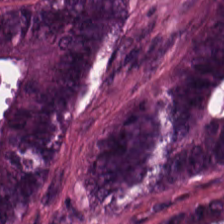H&E-stained tissue section. 0.5 µm/px. The tissue is malignant epithelium.
